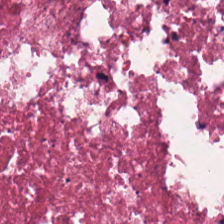Q: What is the predominant tissue type?
A: This is debris.
